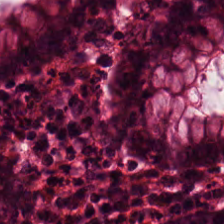Hematoxylin-and-eosin stained section.
Non-neoplastic colon mucosa.
